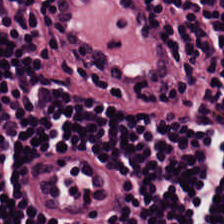Hematoxylin and eosin. Q: What tissue is shown?
A: Lymphocytic infiltrate.
